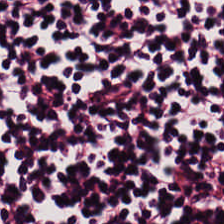Hematoxylin-and-eosin stained section. 0.5 µm/px.
This patch shows lymphocyte aggregate.
